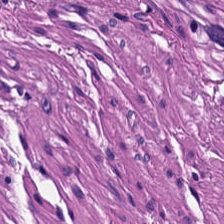FFPE tissue section · hematoxylin and eosin — Tissue class — muscularis.
